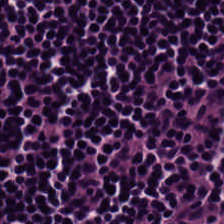Q: What tissue type is shown here?
A: It is lymphocyte aggregate.
